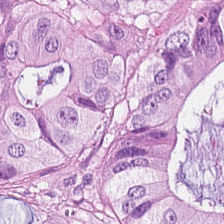H&E stain — Impression — colorectal adenocarcinoma.
